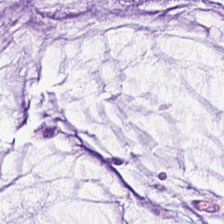Stain: hematoxylin and eosin.
Predominant tissue: extracellular mucin.
